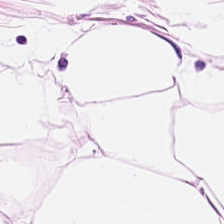Stain: H&E stain.
Tissue type: adipocytes.
